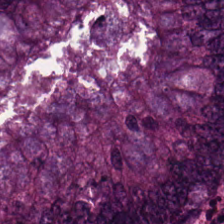Hematoxylin-and-eosin stained section · 0.5 microns per pixel. The classification is colorectal adenocarcinoma.
